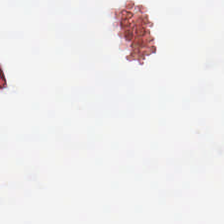Stain: hematoxylin-and-eosin stained section.
Classification: background.
